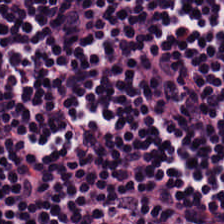224×224 px patch · H&E stain · formalin-fixed paraffin-embedded section.
Q: What tissue is shown?
A: It is lymphocyte aggregate.
